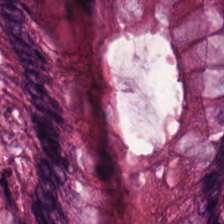Hematoxylin and eosin — This patch shows benign colonic mucosa.
